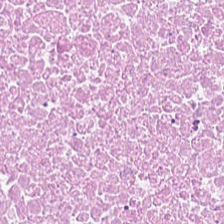Hematoxylin-and-eosin stained section — Showing debris.
